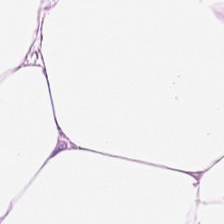224×224 px patch; hematoxylin and eosin. Finding — adipocytes.
